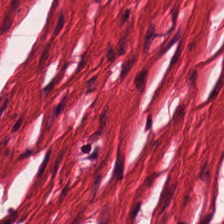H&E-stained tissue section.
Predominantly smooth-muscle tissue.
